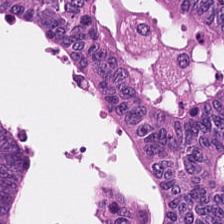FFPE · hematoxylin-and-eosin stained section · 0.5 µm per pixel — Q: Identify the tissue.
A: Tumor epithelium.
